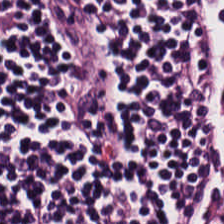H&E-stained tissue section. 224×224 pixel tile. The tissue here is lymphocytic infiltrate.
